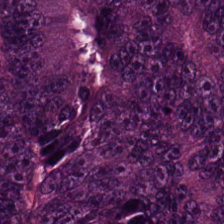Stain: hematoxylin and eosin.
Tile size: 224×224 px tile.
Preparation: formalin-fixed paraffin-embedded section.
Tissue type: malignant epithelium.
